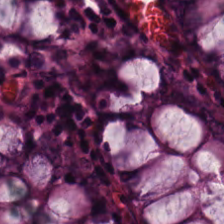H&E. The tissue class is normal colonic mucosa.
